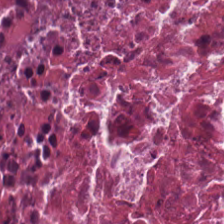Hematoxylin-and-eosin stained section. Classification: debris.
